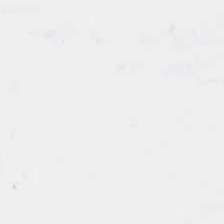Content: background.
